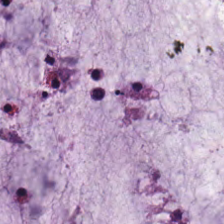20× equivalent magnification. Hematoxylin-and-eosin stained section. The tissue here is extracellular mucin.
